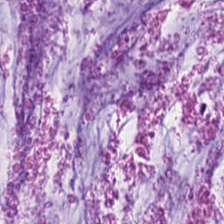FFPE tissue section. Hematoxylin-and-eosin stained section — Q: What is shown here?
A: This is mucin.
